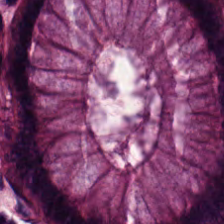H&E stain; WSI patch — Q: What tissue is shown?
A: It is normal colon mucosa.
